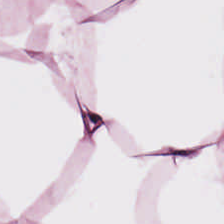Stain: hematoxylin-and-eosin stained section.
Tissue class: fat tissue.
